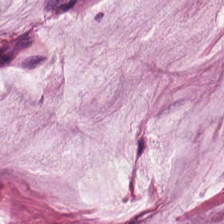224×224 px tile; hematoxylin and eosin — Classification = extracellular mucin.
